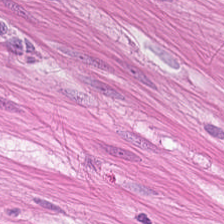H&E — Tissue — smooth muscle.
